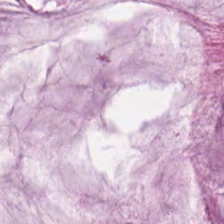Q: What tissue type is shown here?
A: The field shows mucin.
